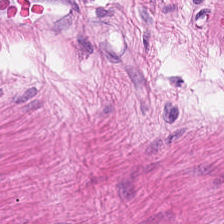Tissue class — muscularis.
